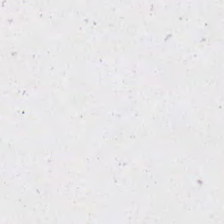Stain: H&E stain.
Content: empty background.
